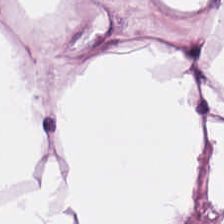Hematoxylin and eosin. The predominant tissue is adipocytes.
